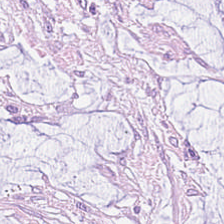This field is extracellular mucin.
